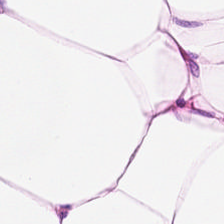Adipocytes.
